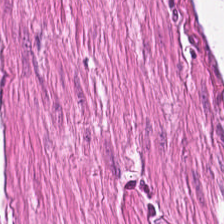Predominantly muscularis.
